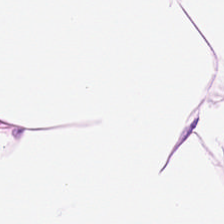Hematoxylin-and-eosin section: adipose.
